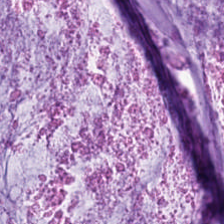H&E-stained tissue section.
This field is mucus.
